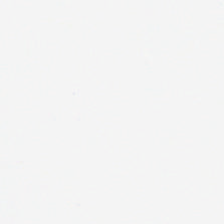FFPE tissue section; H&E-stained tissue section.
Q: Classify this patch.
A: Background (no tissue).
